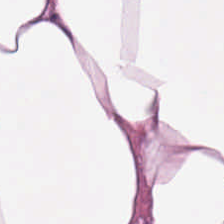H&E-stained tissue section. Impression — fat tissue.
